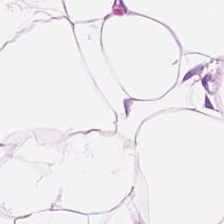Classification: fat tissue.
